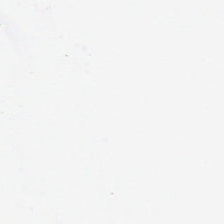Q: What does this patch show?
A: The field shows background (no tissue).
